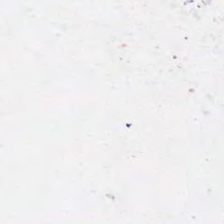Hematoxylin-and-eosin stained section.
No tissue.
